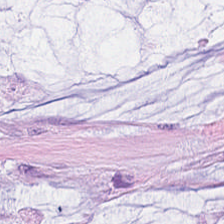Stain: hematoxylin and eosin.
Tile size: 224×224 pixel tile.
Resolution: 0.5 microns per pixel.
Predominant tissue: mucus.
